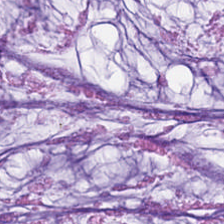Stain: hematoxylin-and-eosin stained section.
Tissue type: extracellular mucin.
